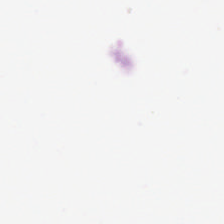Classification = no tissue.
